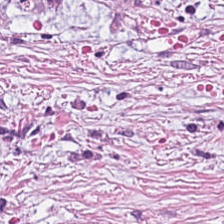Brightfield · hematoxylin-and-eosin stained section. Q: What does this patch show?
A: The field shows cancer-associated stroma.
